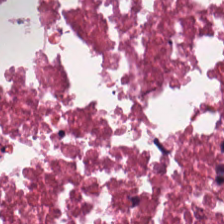Q: What is shown in this field?
A: Necrotic debris.
